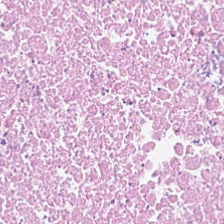Hematoxylin-and-eosin stained section · 224×224 pixel tile · FFPE tissue section.
The tissue here is cellular debris.
